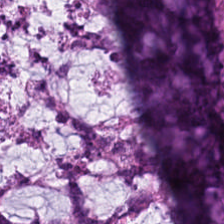Finding — mucin.
